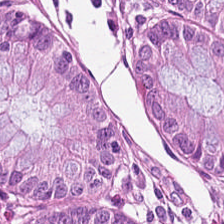Hematoxylin and eosin — Q: What does this patch show?
A: Benign colonic mucosa.
